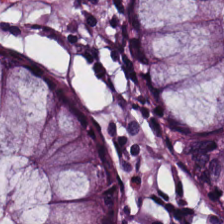H&E — benign colonic mucosa.
